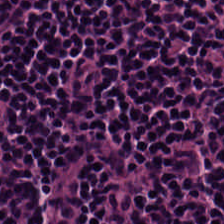Hematoxylin and eosin.
Q: What is shown here?
A: The field shows lymphocyte aggregate.
